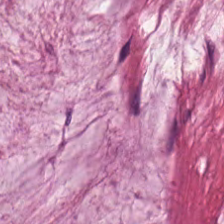H&E-stained tissue section — Q: Classify this patch.
A: This is extracellular mucin.
